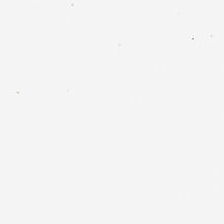{"content": "empty background"}
